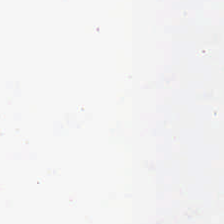Stain: hematoxylin and eosin.
Field content: no tissue.
